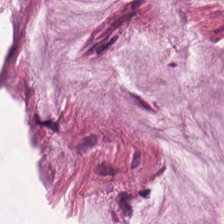Hematoxylin-and-eosin stained section. Mucus.
